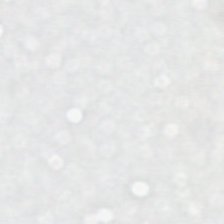H&E-stained tissue section. Classification = empty background.
